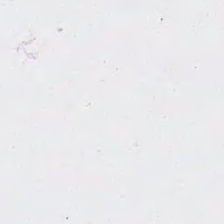H&E · 224×224 px patch — Q: What does this patch show?
A: No tissue.
